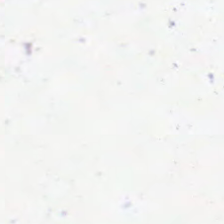0.5 µm per pixel. H&E — Empty background.
